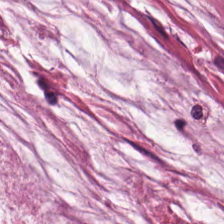H&E stain. Classification — mucus.
